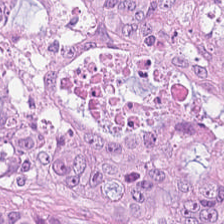Hematoxylin and eosin. Classification = adenocarcinoma.
